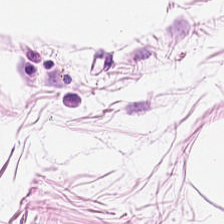H&E stain. The predominant tissue is fat tissue.
